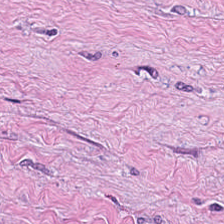Finding → tumor-associated stroma.
